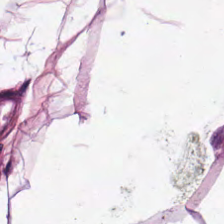H&E stain. 0.5 µm per pixel. 224×224 pixel tile.
Q: What tissue is shown?
A: This is adipose tissue.
